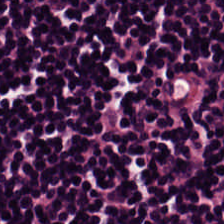Histology — lymphocytes.
